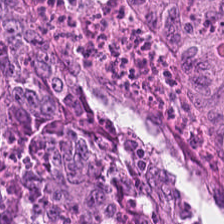Hematoxylin-and-eosin stained section · FFPE · 224×224 px patch — Tumor epithelium.
